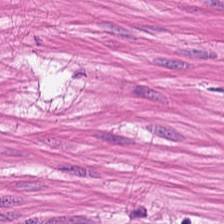0.5 µm per pixel. FFPE tissue section. Hematoxylin-and-eosin stained section — The predominant tissue is muscularis.
